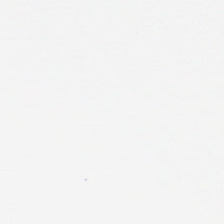20× equivalent magnification. H&E. Field content: empty background.
